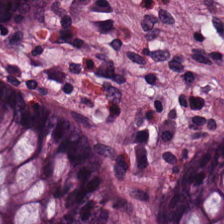Impression — benign colonic mucosa.
